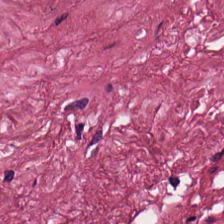H&E-stained tissue section.
Predominantly tumor-associated stroma.
